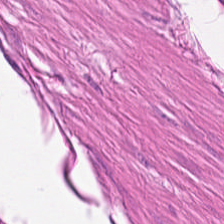Impression → muscularis.
